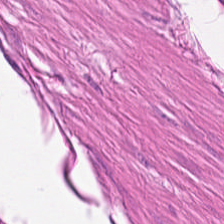Impression → muscularis.
